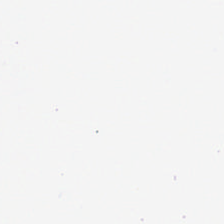224×224 pixel tile; H&E-stained tissue section. Field content = background.
